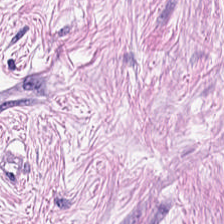Stain: hematoxylin-and-eosin stained section.
Tissue class: desmoplastic stroma.
